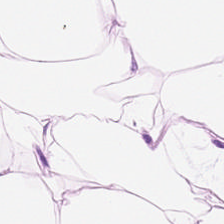H&E. Predominant tissue = adipose.
